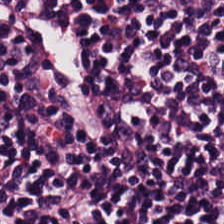H&E; brightfield microscopy — Tissue type — lymphocytes.
